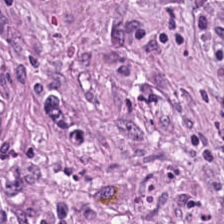Stain: hematoxylin and eosin.
Tile size: 224×224 px patch.
Preparation: formalin-fixed paraffin-embedded section.
Predominant tissue: tumor stroma.
